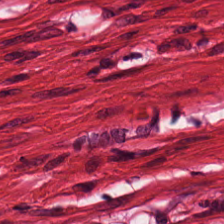Stain: hematoxylin-and-eosin stained section.
Tissue type: smooth-muscle tissue.
